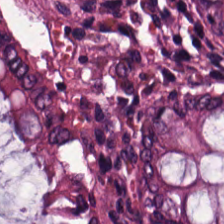Tissue — normal colon mucosa.
